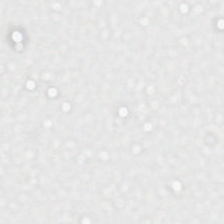FFPE · 0.5 µm per pixel · hematoxylin-and-eosin stained section — Content: background (no tissue).
